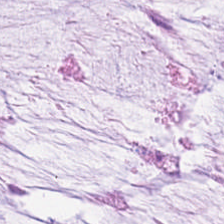H&E stain.
Tissue = mucus.
